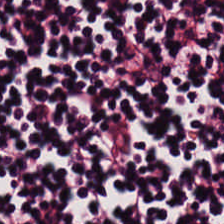Brightfield microscopy · H&E-stained tissue section.
{"tissue_type": "lymphocyte aggregate"}
